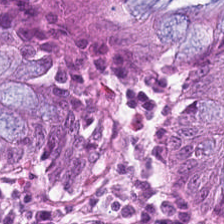H&E-stained tissue section — Q: What type of tissue is this?
A: It is benign colonic mucosa.
